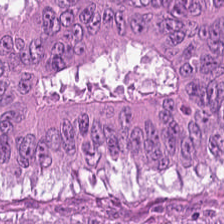Hematoxylin-and-eosin stained section.
{"tissue_type": "malignant epithelium"}
